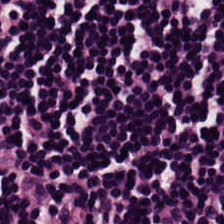Showing lymphocytes.
